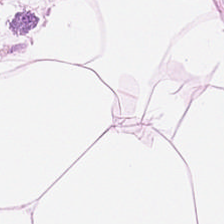Hematoxylin-and-eosin stained section; 0.5 µm/px.
The classification is adipocytes.
